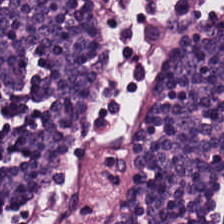H&E. Q: What is shown in this field?
A: This is lymphocyte aggregate.
